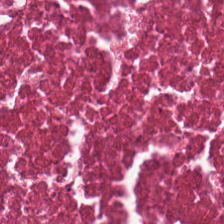H&E. The tissue type is cellular debris.
